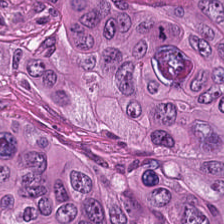H&E stain. Brightfield. Tissue class — adenocarcinoma.
